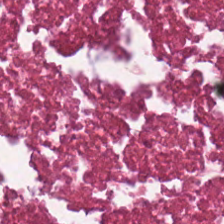Stain: hematoxylin and eosin.
Tile size: 224×224 px tile.
Preparation: formalin-fixed paraffin-embedded section.
Predominant tissue: necrotic debris.
